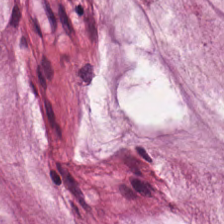Stain: H&E-stained tissue section.
Resolution: 20× equivalent magnification.
Classification: mucus.
